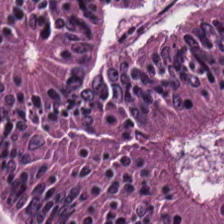WSI patch; hematoxylin-and-eosin stained section. Q: What tissue type is shown here?
A: This is colorectal adenocarcinoma.
